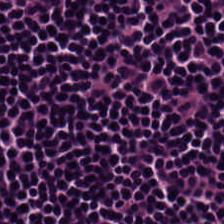Hematoxylin-and-eosin stained section · 224×224 px patch. The predominant tissue is lymphoid infiltrate.
